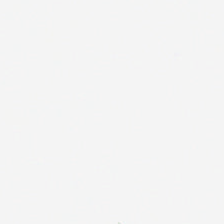H&E-stained tissue section. Empty field — background.
